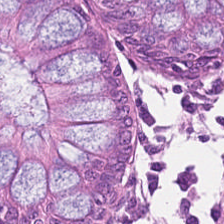H&E-stained tissue section. 224×224 px tile.
Predominantly non-neoplastic colon mucosa.
